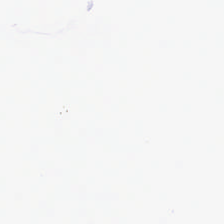Hematoxylin and eosin; whole-slide-image patch — Empty field — no tissue.
